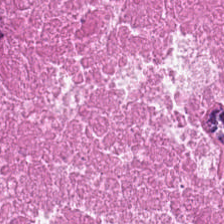H&E.
The tissue type is necrotic debris.
